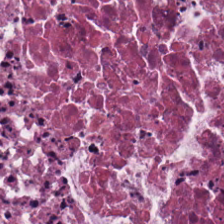H&E stain.
The tissue is necrotic debris.
